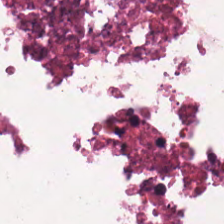Formalin-fixed paraffin-embedded section · hematoxylin-and-eosin stained section.
Necrotic debris.
